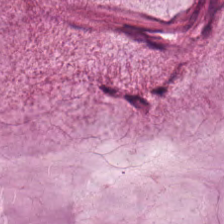Impression — mucin.
